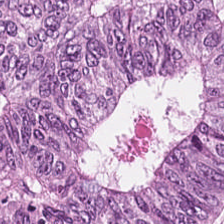Predominant tissue — adenocarcinoma.
